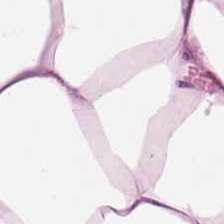Finding — adipose.
